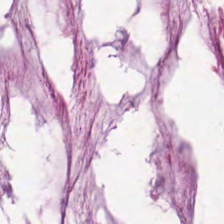Hematoxylin and eosin. Showing mucus.
